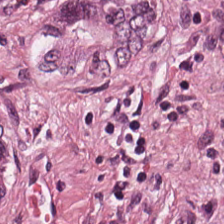Tissue type: tumor stroma.
